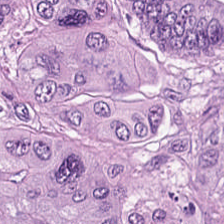H&E-stained tissue section.
The predominant tissue is colorectal adenocarcinoma.
